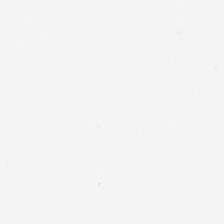Stain: hematoxylin and eosin.
Content: no tissue.
